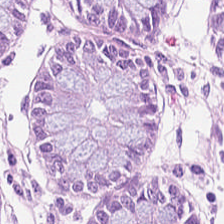Brightfield. FFPE tissue section. Hematoxylin-and-eosin stained section. Impression — normal colonic mucosa.
